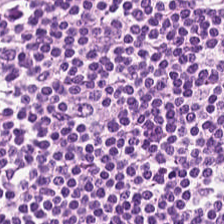Showing lymphocytic infiltrate.
